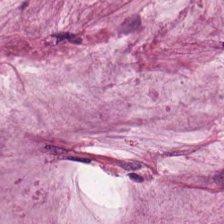Q: What tissue is shown?
A: It is mucus.
